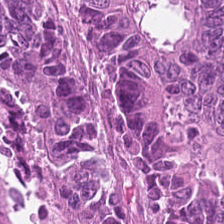20× equivalent magnification; H&E stain. Histology — tumor epithelium.
